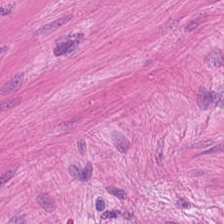Stain: hematoxylin-and-eosin stained section.
Tissue: smooth-muscle tissue.
